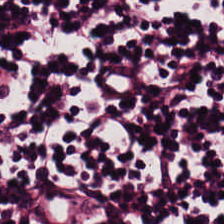Hematoxylin and eosin. Tissue = lymphocytic infiltrate.
